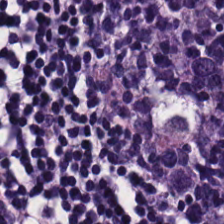H&E stain; 0.5 µm/px — Showing lymphocytic infiltrate.
